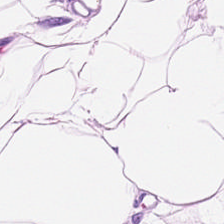Stain: H&E-stained tissue section.
Tissue type: adipose.
